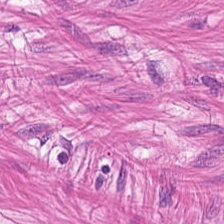Hematoxylin-and-eosin section: smooth muscle.
